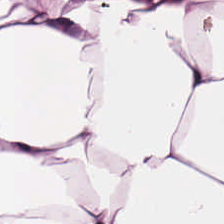H&E.
Q: What is shown in this field?
A: It is adipocytes.
